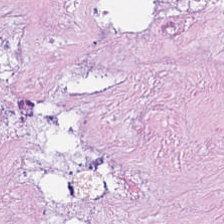Stain: H&E-stained tissue section.
Acquisition: brightfield microscopy.
Tile size: 224×224 px tile.
Tissue type: cellular debris.
